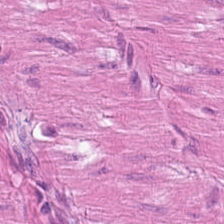H&E-stained tissue section. Histology → smooth-muscle tissue.
